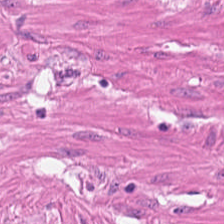H&E.
Predominant tissue = smooth muscle.
